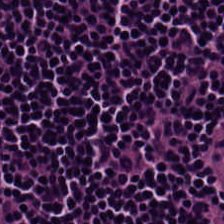H&E stain; FFPE; 224×224 pixel tile — Histology → lymphocytic infiltrate.
